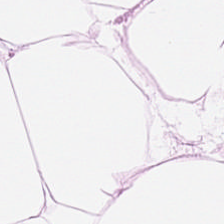224×224 pixel tile; H&E-stained tissue section — This field is adipocytes.
